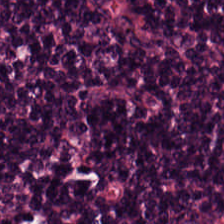H&E-stained tissue section · 224×224 pixel tile · WSI patch — The classification is lymphocytes.
